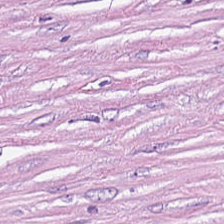H&E. The tissue here is cancer-associated stroma.
